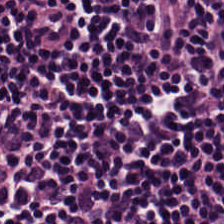H&E-stained section; the field shows lymphocytes.
